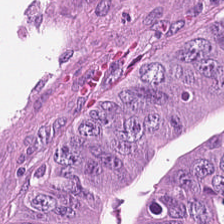H&E. FFPE tissue section. Q: What type of tissue is this?
A: It is adenocarcinoma.
